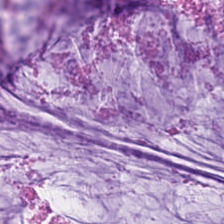Showing mucus.
